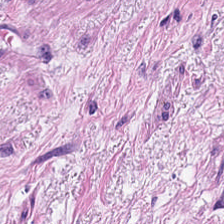The predominant tissue is smooth muscle.
